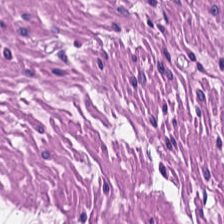H&E — Classification: muscularis.
